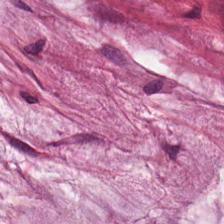H&E stain.
Histology — extracellular mucin.
